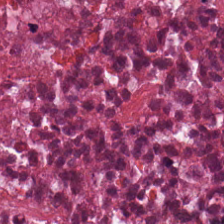This field is debris.
